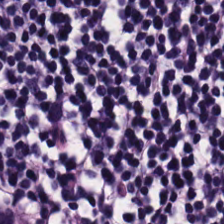Showing lymphocytic infiltrate.
